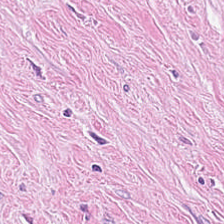H&E — cancer-associated stroma.
